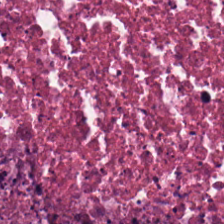Hematoxylin and eosin — The predominant tissue is necrotic debris.
